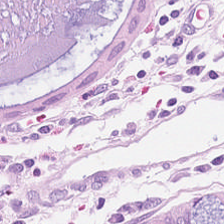Brightfield · H&E · formalin-fixed paraffin-embedded section.
Tissue — benign colonic mucosa.
